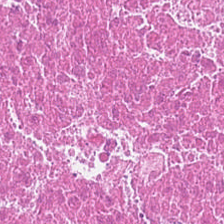H&E-stained tissue section — Tissue type = debris.
